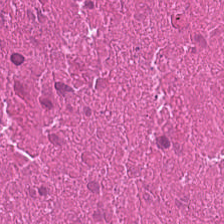H&E-stained tissue section. Predominantly cellular debris.
